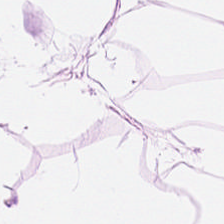Hematoxylin-and-eosin section: adipose.
